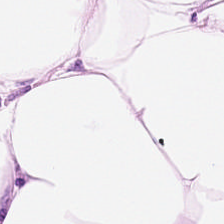FFPE. H&E. 0.5 µm/px. This field is fat tissue.
